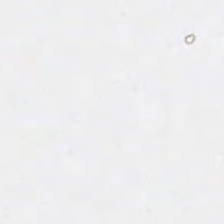FFPE · WSI patch · H&E stain.
Impression → background.
